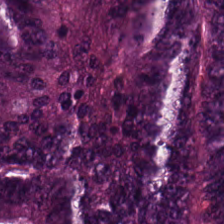Brightfield. 0.5 microns per pixel. H&E. Tissue type = colorectal adenocarcinoma.
